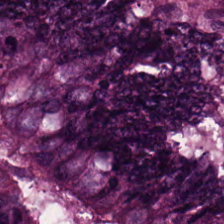This patch shows colorectal adenocarcinoma epithelium.
